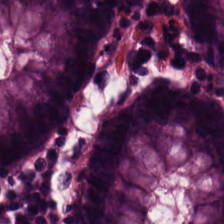WSI patch · H&E stain — This patch shows normal colonic mucosa.
